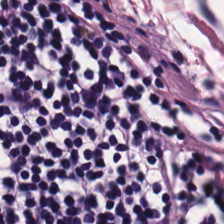Stain: H&E stain.
Tile size: 224×224 px tile.
Tissue type: lymphocyte aggregate.
